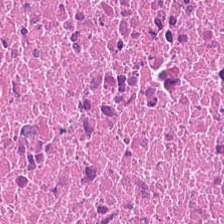Stain: H&E stain.
Tissue: debris.
